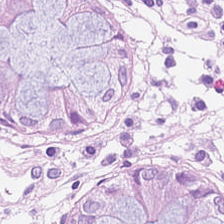FFPE tissue section · hematoxylin-and-eosin stained section.
This patch shows normal colon mucosa.
